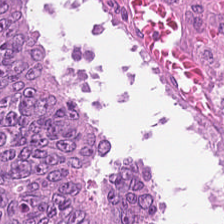H&E-stained tissue section — This patch shows colorectal adenocarcinoma.
